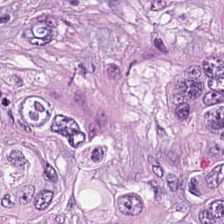The tissue is colorectal adenocarcinoma epithelium.
